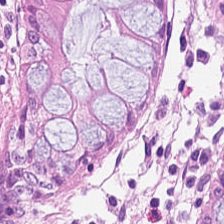H&E stain; 224×224 px tile. Q: What is shown in this field?
A: It is normal colonic mucosa.
